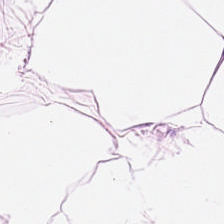H&E stain — Finding — fat tissue.
